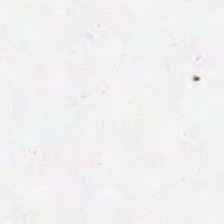Q: What is shown in this field?
A: The field shows no tissue.
